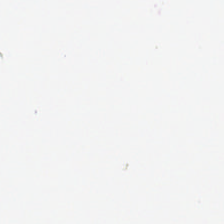Hematoxylin and eosin — Finding — no tissue.
